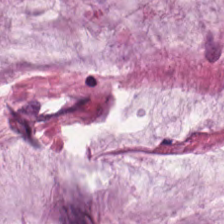Stain: hematoxylin and eosin.
Resolution: 0.5 µm per pixel.
Tissue: mucin.
